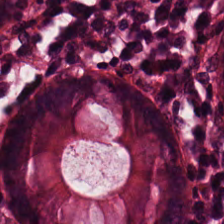Hematoxylin and eosin. Predominantly non-neoplastic colon mucosa.
